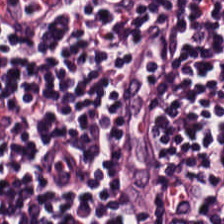Stain: hematoxylin-and-eosin stained section.
Tissue: lymphocytes.
